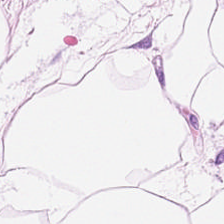Impression — adipose tissue.
